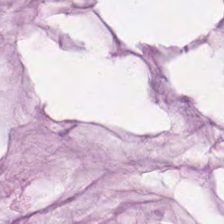224×224 px patch. H&E. This field is extracellular mucin.
